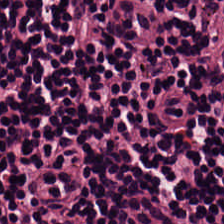H&E stain.
Classification = lymphocytes.
